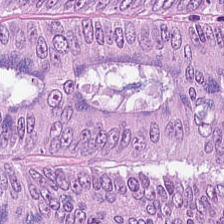Hematoxylin-and-eosin section: adenocarcinoma.
